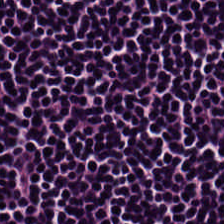Hematoxylin-and-eosin stained section.
Histology → lymphoid infiltrate.
